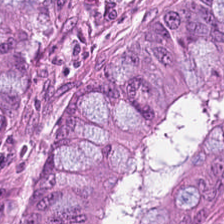Hematoxylin and eosin. The predominant tissue is colorectal adenocarcinoma epithelium.
